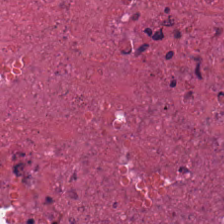Brightfield microscopy · H&E · 20× equivalent magnification.
Histology — necrotic debris.
